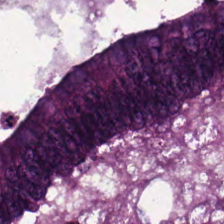Whole-slide-image patch; 20× equivalent magnification; H&E stain.
Impression → colorectal adenocarcinoma epithelium.
